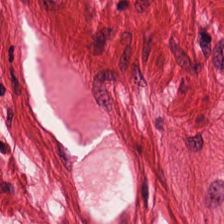H&E. Brightfield. Formalin-fixed paraffin-embedded section — Tissue class = muscularis.
